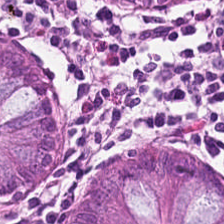H&E stain; brightfield — The tissue here is normal colon mucosa.
